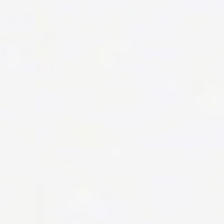Hematoxylin-and-eosin stained section.
Background — no tissue in this field.
